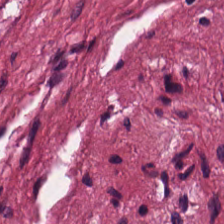0.5 microns per pixel; hematoxylin-and-eosin stained section — This patch shows tumor-associated stroma.
